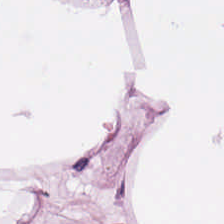H&E. Brightfield microscopy. 20× equivalent magnification.
Q: What type of tissue is this?
A: It is fat tissue.
